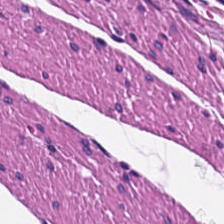Brightfield microscopy · FFPE · hematoxylin-and-eosin stained section — Q: What is shown in this field?
A: The field shows smooth-muscle tissue.
